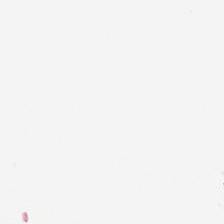Hematoxylin and eosin. This field is background (no tissue).
